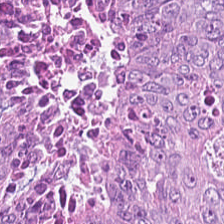Hematoxylin and eosin.
Showing adenocarcinoma.
